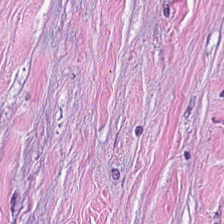FFPE tissue section. Brightfield microscopy. Hematoxylin-and-eosin stained section. Tissue class: tumor-associated stroma.
